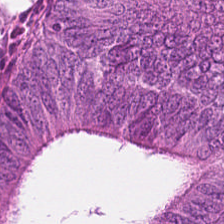H&E-stained tissue section — Tissue = colorectal adenocarcinoma.
